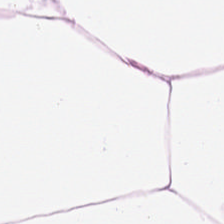224×224 px patch; hematoxylin and eosin. Showing fat tissue.
